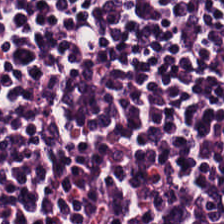Finding — lymphocytic infiltrate.
